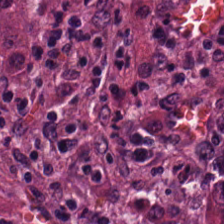Hematoxylin and eosin. Brightfield microscopy. The predominant tissue is desmoplastic stroma.
